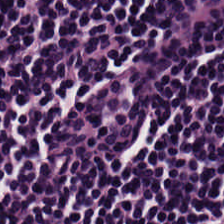Tissue class — lymphocytic infiltrate.
